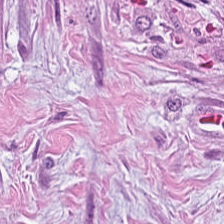0.5 µm per pixel. Formalin-fixed paraffin-embedded section. H&E-stained tissue section.
Histology — tumor stroma.
